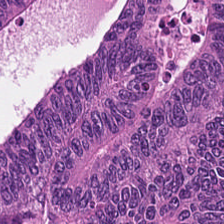Stain: hematoxylin and eosin.
Predominant tissue: tumor epithelium.
